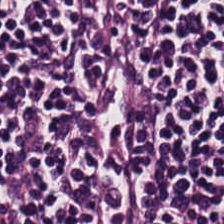FFPE tissue section. H&E-stained tissue section. Brightfield — This patch shows lymphocyte aggregate.
